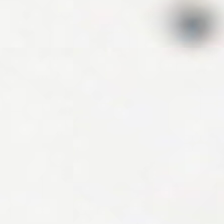Impression → empty background.
